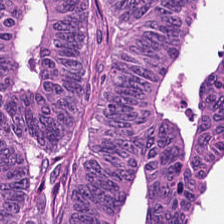20× equivalent magnification · FFPE tissue section · hematoxylin-and-eosin stained section. Q: What tissue type is shown here?
A: Colorectal adenocarcinoma.
